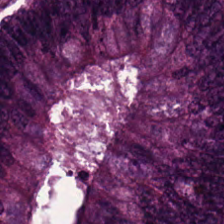Formalin-fixed paraffin-embedded section; hematoxylin and eosin. The tissue type is malignant epithelium.
